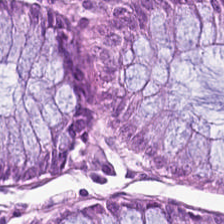Classification = normal colonic mucosa.
